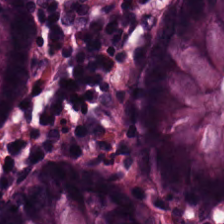Hematoxylin-and-eosin stained section. The tissue is normal colonic mucosa.
